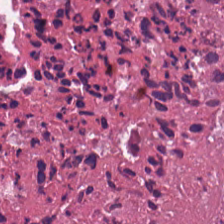This field is debris.
